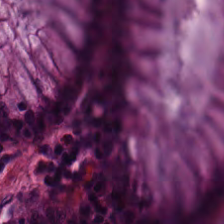H&E.
This patch shows normal colon mucosa.
